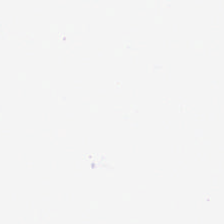No tissue present; background only.
